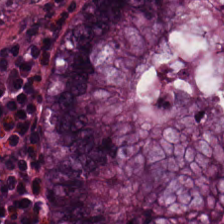Stain: hematoxylin-and-eosin stained section.
Predominant tissue: normal colon mucosa.
